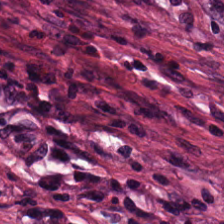0.5 µm/px · H&E stain. Q: What tissue is shown?
A: It is cancer-associated stroma.
